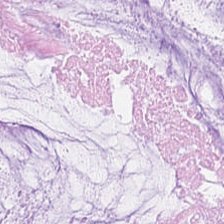H&E-stained tissue section; FFPE tissue section; brightfield — Q: What is the predominant tissue type?
A: This is mucus.
